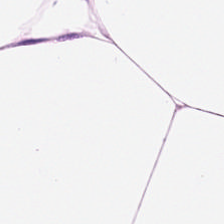224×224 px tile. H&E. Showing adipose tissue.
